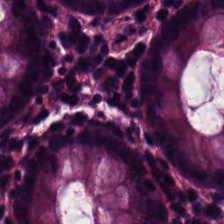Brightfield. Formalin-fixed paraffin-embedded section. H&E.
The tissue here is normal colonic mucosa.
